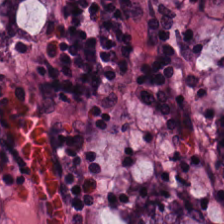H&E stain — Tissue class = normal colonic mucosa.
